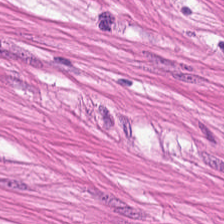H&E-stained tissue section · brightfield microscopy · FFPE — Histology — muscularis.
